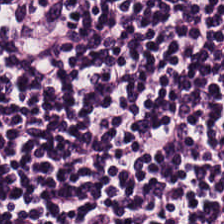H&E — Impression — lymphocytes.
